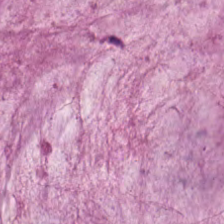Predominant tissue: mucin.
